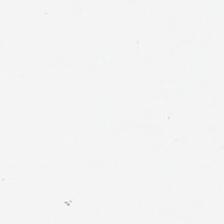224×224 px patch · H&E — {"content": "empty background"}
